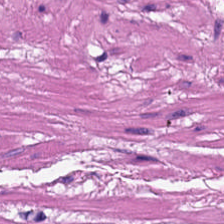Hematoxylin-and-eosin stained section. Formalin-fixed paraffin-embedded section. Classification = smooth muscle.
